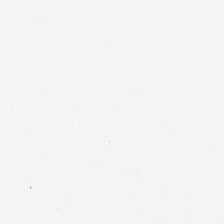H&E stain. The content is background.
